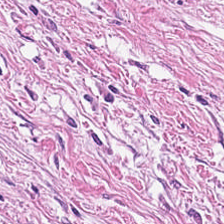H&E-stained tissue section; 224×224 px tile; WSI patch.
Predominantly desmoplastic stroma.
